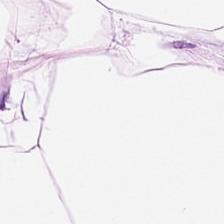Hematoxylin and eosin. {"tissue_type": "adipocytes"}
